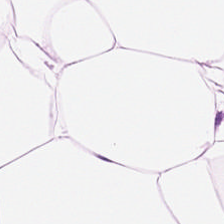H&E-stained tissue section.
Impression — adipocytes.
